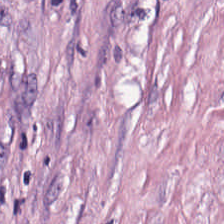Stain: H&E stain.
Tile size: 224×224 px tile.
Acquisition: whole-slide-image patch.
Classification: tumor-associated stroma.
